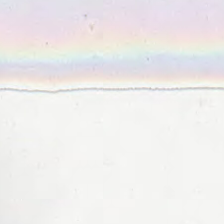Hematoxylin and eosin.
The classification is empty background.
